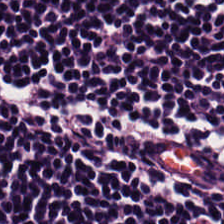H&E · FFPE tissue section · brightfield microscopy. {"tissue_type": "lymphocytic infiltrate"}
